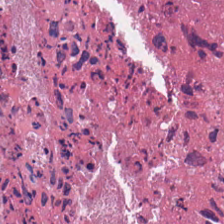Hematoxylin-and-eosin stained section. 0.5 µm per pixel.
The tissue here is cellular debris.
